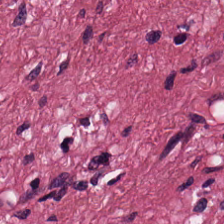Stain: H&E-stained tissue section.
Preparation: FFPE.
Tissue type: tumor stroma.
